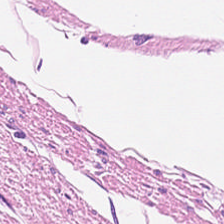Hematoxylin and eosin · 224×224 px tile. Showing muscularis.
